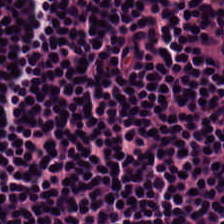Formalin-fixed paraffin-embedded section; H&E.
Showing lymphocytic infiltrate.
